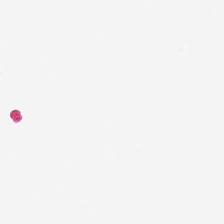H&E.
Histology — background.
